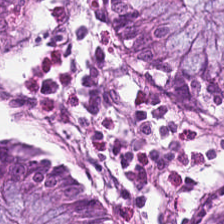Brightfield. Formalin-fixed paraffin-embedded section. H&E-stained tissue section.
This field is benign colonic mucosa.
